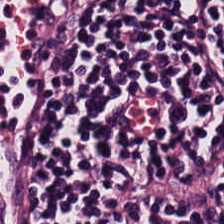224×224 px tile · hematoxylin and eosin — Predominant tissue — lymphocytic infiltrate.
